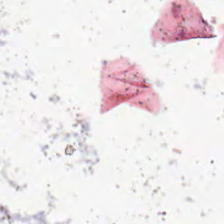H&E stain · brightfield · 20× equivalent magnification.
This patch shows background (no tissue).
